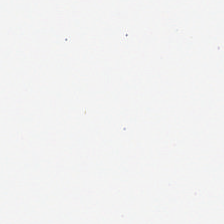Hematoxylin and eosin.
Q: What does this patch show?
A: It is empty background.
